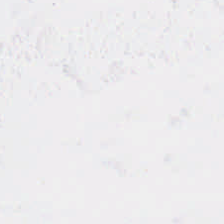Hematoxylin and eosin; 0.5 microns per pixel. The field content is background.
